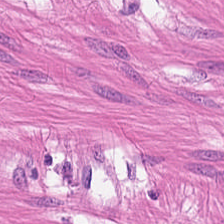H&E. Tissue: smooth muscle.
